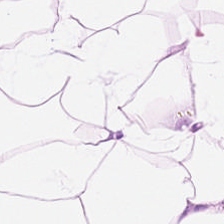FFPE tissue section. 0.5 µm/px. H&E stain.
Tissue class = fat tissue.
